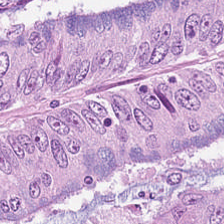This patch shows adenocarcinoma.
